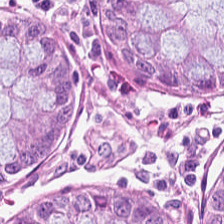H&E-stained tissue section; formalin-fixed paraffin-embedded section.
{"tissue_type": "non-neoplastic colon mucosa"}
